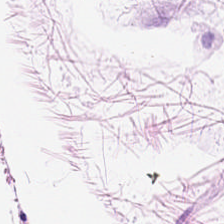224×224 px tile · FFPE · hematoxylin-and-eosin stained section — {"tissue_type": "fat tissue"}
